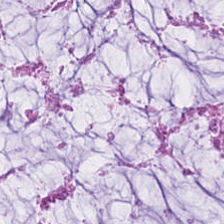H&E patch showing mucin.
